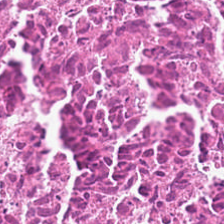H&E-stained tissue section — The predominant tissue is cellular debris.
